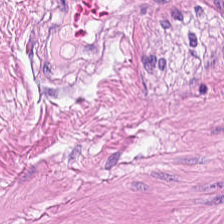H&E-stained tissue section. The tissue here is muscularis.
